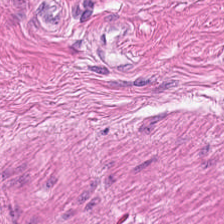Stain: hematoxylin and eosin.
Classification: smooth-muscle tissue.
